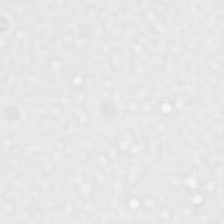The content is background (no tissue).
